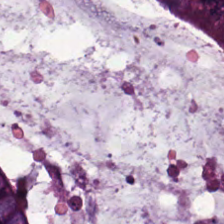Hematoxylin and eosin. Q: Classify this patch.
A: Malignant epithelium.
